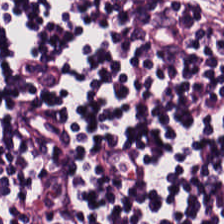Q: What does this patch show?
A: The field shows lymphocytic infiltrate.
